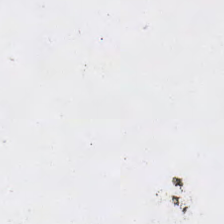Whole-slide-image patch; H&E stain.
No tissue present; background only.
